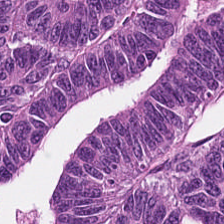Histology — malignant epithelium.
